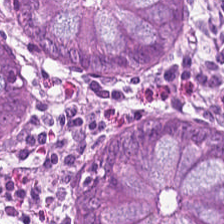H&E-stained tissue section.
Tissue class — normal colon mucosa.
